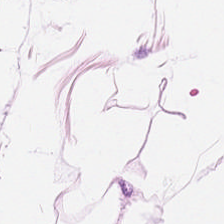Hematoxylin-and-eosin stained section; 224×224 px tile; FFPE tissue section. The tissue here is adipocytes.
